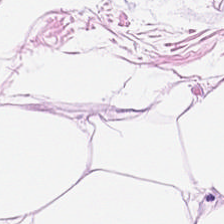0.5 µm per pixel. Hematoxylin and eosin. Formalin-fixed paraffin-embedded section. Q: What is the predominant tissue type?
A: This is adipocytes.
